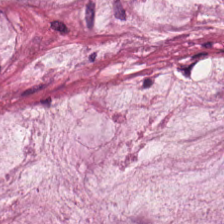Hematoxylin-and-eosin stained section. Tissue = extracellular mucin.
